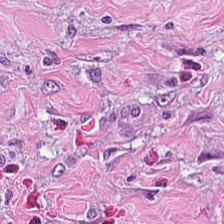Stain: H&E.
Predominant tissue: tumor stroma.
